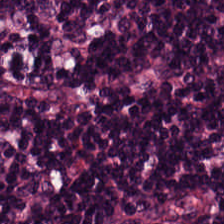H&E — This patch shows lymphoid infiltrate.
